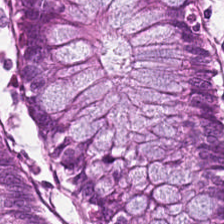0.5 microns per pixel · H&E-stained tissue section.
The tissue is normal colonic mucosa.
